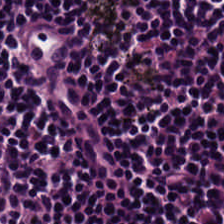H&E-stained tissue section.
Tissue type — lymphocytes.
